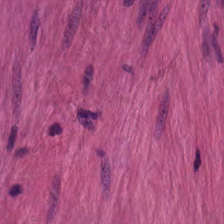Hematoxylin-and-eosin stained section — Histology — smooth muscle.
